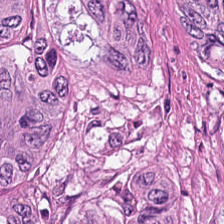H&E stain. Q: Identify the tissue.
A: The field shows adenocarcinoma.
